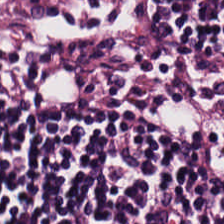Hematoxylin and eosin; 20× equivalent magnification. Q: Identify the tissue.
A: Lymphoid infiltrate.
